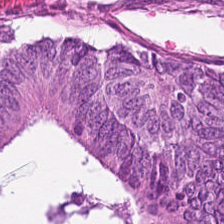H&E-stained tissue section.
Histology — adenocarcinoma.
